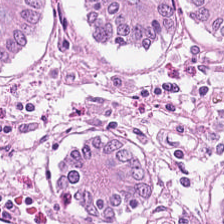224×224 px tile; FFPE; H&E. Predominant tissue: normal colonic mucosa.
